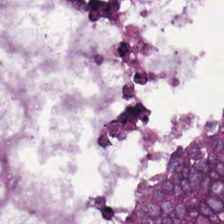Tissue — tumor epithelium.
